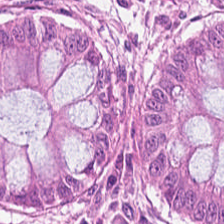H&E stain — Histology → non-neoplastic colon mucosa.
